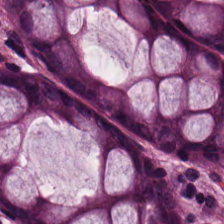Non-neoplastic colon mucosa.
